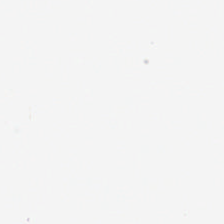Hematoxylin-and-eosin stained section — This field is background (no tissue).
